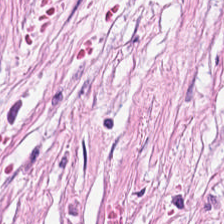H&E-stained section; the field shows tumor-associated stroma.
